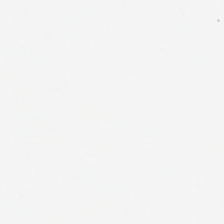Hematoxylin-and-eosin stained section — The classification is no tissue.
